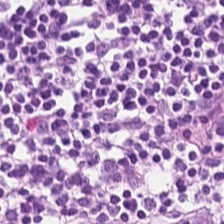Hematoxylin and eosin. The predominant tissue is lymphocytic infiltrate.
